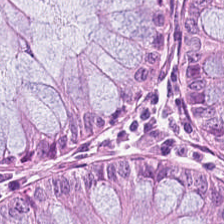Q: What is the predominant tissue type?
A: Non-neoplastic colon mucosa.
